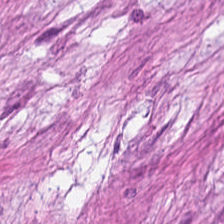H&E-stained tissue section showing tumor stroma.
